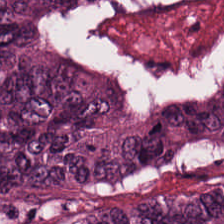Formalin-fixed paraffin-embedded section · hematoxylin and eosin · 224×224 px patch. Predominantly tumor epithelium.
